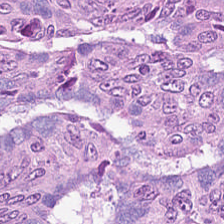0.5 µm per pixel. H&E stain.
Q: What is the predominant tissue type?
A: It is colorectal adenocarcinoma epithelium.
